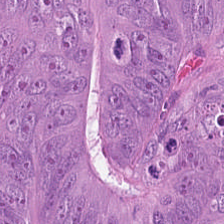Hematoxylin and eosin · 0.5 microns per pixel · whole-slide-image patch.
Colorectal adenocarcinoma epithelium.
